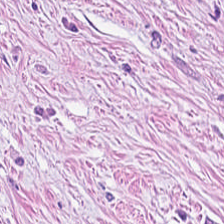Hematoxylin-and-eosin stained section — Q: What tissue is shown?
A: It is tumor-associated stroma.
